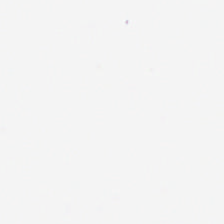H&E-stained tissue section. Empty field — no tissue.
